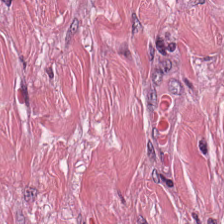Hematoxylin and eosin.
This field is tumor stroma.
